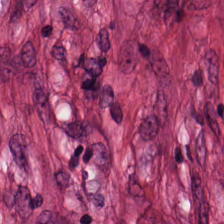Brightfield. H&E-stained tissue section. 0.5 microns per pixel.
Predominantly tumor-associated stroma.
